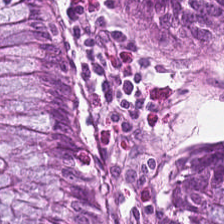H&E; 0.5 µm/px.
This patch shows benign colonic mucosa.
